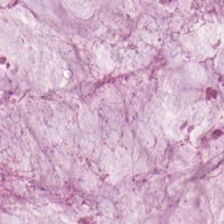Stain: H&E stain.
Tile size: 224×224 pixel tile.
Predominant tissue: extracellular mucin.
